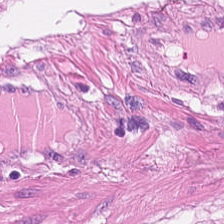Stain: hematoxylin and eosin.
Classification: smooth-muscle tissue.
